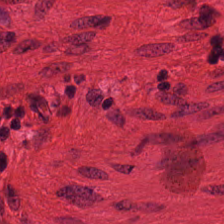Whole-slide-image patch; formalin-fixed paraffin-embedded section; H&E-stained tissue section — Showing smooth-muscle tissue.
